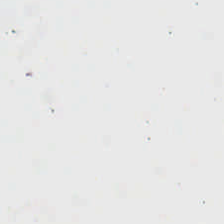224×224 px patch · WSI patch · H&E stain — Q: What is shown here?
A: The field shows no tissue.
